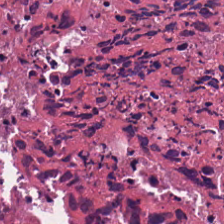Brightfield · hematoxylin and eosin. This patch shows necrotic debris.
